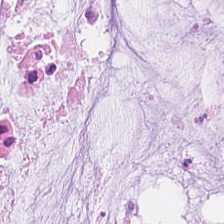H&E stain — Tissue class = mucin.
